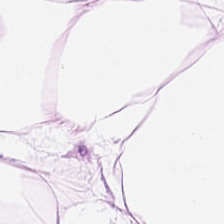Hematoxylin-and-eosin stained section — Predominantly adipose.
